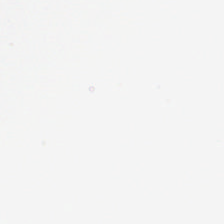H&E-stained tissue section. 0.5 µm per pixel.
Empty field — empty background.
